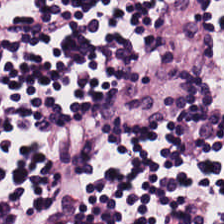Predominantly lymphocytes.
